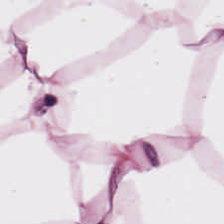Stain: H&E stain.
Tile size: 224×224 px tile.
Tissue type: adipose tissue.
